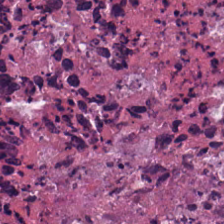This patch shows debris.
